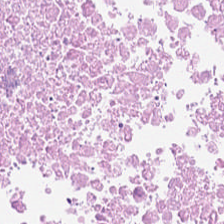Impression → debris.
